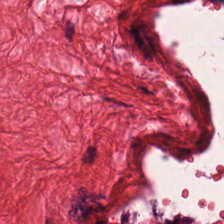224×224 pixel tile. Hematoxylin-and-eosin stained section. This patch shows muscularis.
